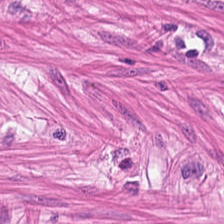Predominantly smooth-muscle tissue.
